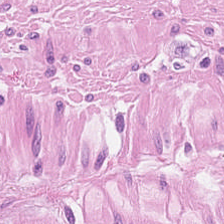Hematoxylin and eosin.
Q: Identify the tissue.
A: It is muscularis.
